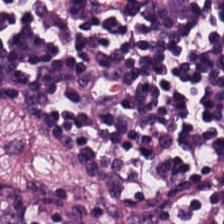FFPE · 224×224 px patch · hematoxylin-and-eosin stained section — Predominantly lymphocytes.
